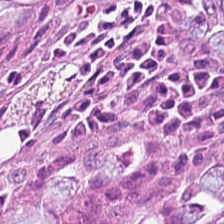This patch shows non-neoplastic colon mucosa.
